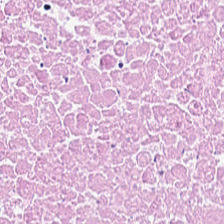H&E-stained tissue section. 224×224 px patch. WSI patch — Q: What is the predominant tissue type?
A: Debris.
